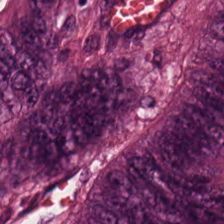Q: What is shown in this field?
A: This is extracellular mucin.
